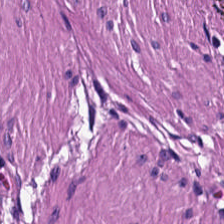Stain: H&E.
Acquisition: brightfield microscopy.
Resolution: 0.5 µm per pixel.
Tissue type: smooth muscle.
